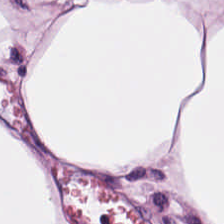Q: What tissue is shown?
A: The field shows adipose.
